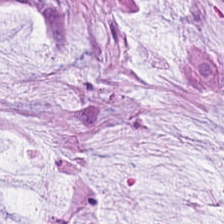H&E stain; FFPE; 0.5 µm per pixel.
Q: What type of tissue is this?
A: Mucus.
